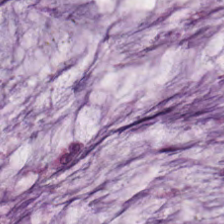Stain: H&E-stained tissue section.
Preparation: FFPE tissue section.
Tissue: extracellular mucin.
